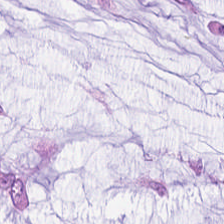H&E stain; 0.5 µm/px.
The predominant tissue is extracellular mucin.
